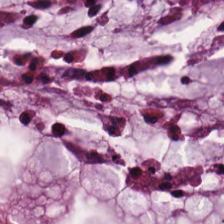FFPE. 0.5 µm per pixel. H&E. Predominantly mucin.
